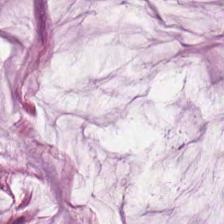H&E. 224×224 px tile — The predominant tissue is mucin.
